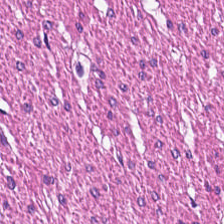Stain: hematoxylin-and-eosin stained section.
Classification: smooth muscle.
